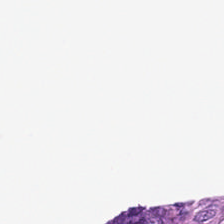H&E-stained tissue section · FFPE — Q: Classify this patch.
A: Background (no tissue).
